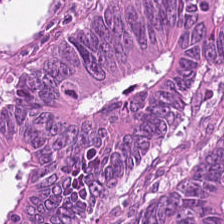The tissue here is adenocarcinoma.
